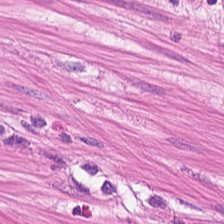Stain: hematoxylin-and-eosin stained section.
Predominant tissue: smooth-muscle tissue.
